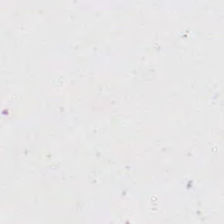H&E stain — {"content": "background"}
